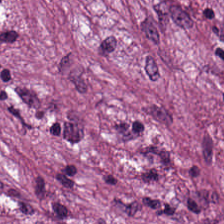224×224 px patch. H&E stain. Q: What tissue type is shown here?
A: This is tumor-associated stroma.
